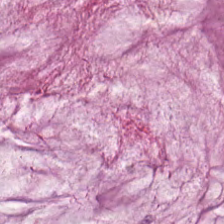{"tissue_type": "mucin"}
